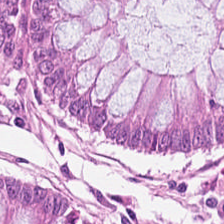H&E — Predominantly normal colonic mucosa.
